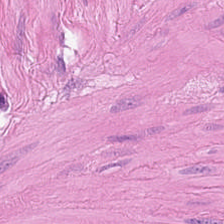H&E — This patch shows smooth-muscle tissue.
